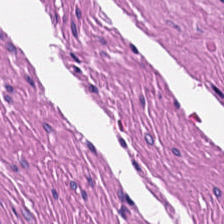Hematoxylin-and-eosin stained section. Impression → muscularis.
